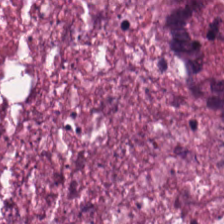H&E-stained tissue section. 0.5 µm/px.
This field is necrotic debris.
